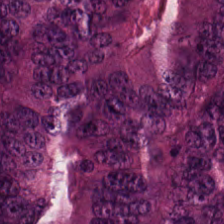Stain: H&E.
Tissue: malignant epithelium.
